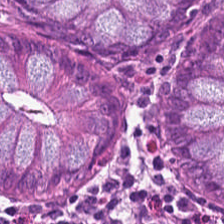Hematoxylin-and-eosin stained section. This patch shows benign colonic mucosa.
